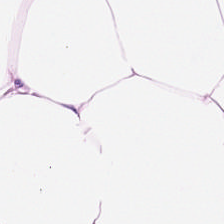Predominant tissue = adipocytes.
